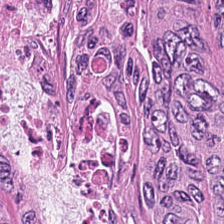Stain: H&E-stained tissue section.
Predominant tissue: colorectal adenocarcinoma.
